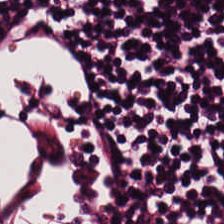0.5 microns per pixel; H&E stain; 224×224 px tile.
Q: What tissue type is shown here?
A: It is lymphocyte aggregate.
